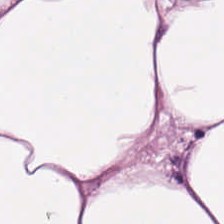WSI patch. H&E. FFPE — Q: What tissue type is shown here?
A: The field shows adipose tissue.
